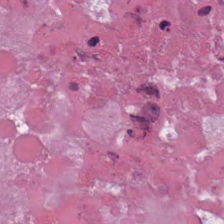Q: What does this patch show?
A: The field shows debris.
